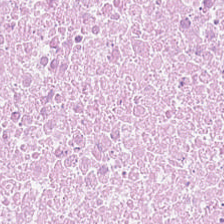Q: What does this patch show?
A: The field shows debris.
